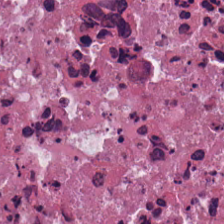H&E.
Q: What is shown here?
A: This is cellular debris.
